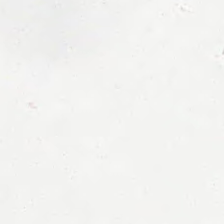0.5 microns per pixel; hematoxylin and eosin; 224×224 px tile. This field is background (no tissue).
